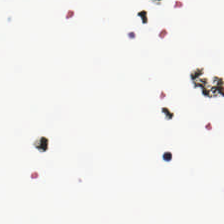Stain: H&E-stained tissue section.
Tile size: 224×224 px patch.
Field content: empty background.
